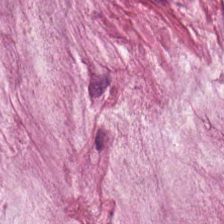20× equivalent magnification; H&E-stained tissue section.
Tissue type: mucus.
